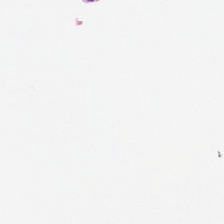H&E stain — Empty field — empty background.
